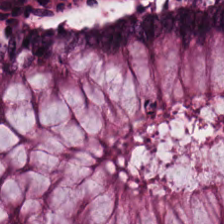224×224 px patch; brightfield microscopy; hematoxylin and eosin. Q: Classify this patch.
A: It is benign colonic mucosa.
